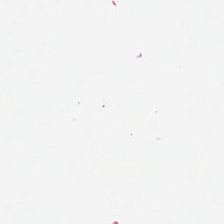WSI patch · FFPE tissue section · H&E stain. The field content is empty background.
